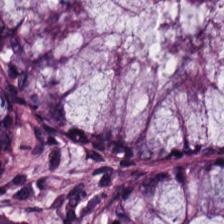Hematoxylin-and-eosin stained section. Formalin-fixed paraffin-embedded section. 20× equivalent magnification — Impression → benign colonic mucosa.
